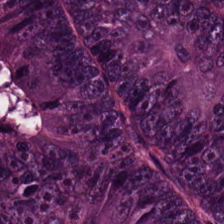Stain: H&E-stained tissue section.
Acquisition: whole-slide-image patch.
Classification: colorectal adenocarcinoma epithelium.
